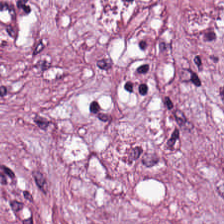Hematoxylin and eosin — Tissue type — tumor-associated stroma.
